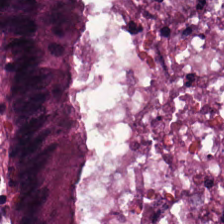Predominant tissue = tumor epithelium.
